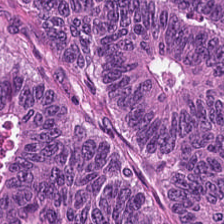Hematoxylin and eosin.
This field is adenocarcinoma.
